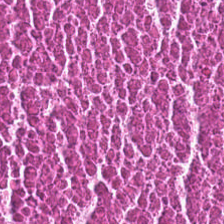Q: What type of tissue is this?
A: It is necrotic debris.
